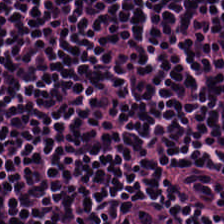H&E-stained tissue section.
Q: What is shown in this field?
A: This is lymphoid infiltrate.
